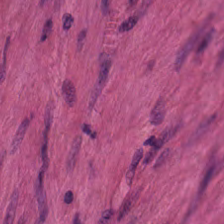Tissue class: smooth-muscle tissue.
